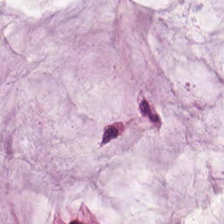The predominant tissue is mucin.
